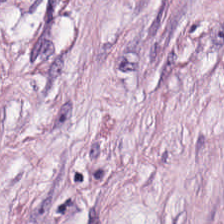FFPE · hematoxylin-and-eosin stained section — The tissue here is desmoplastic stroma.
